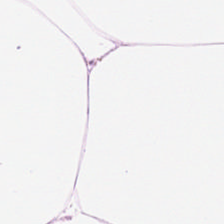224×224 px patch · H&E stain.
Predominantly adipose.
